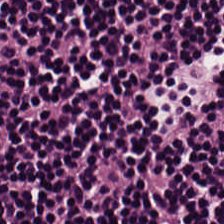H&E-stained tissue section.
Impression → lymphocyte aggregate.
